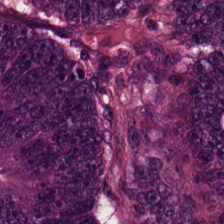224×224 px patch · formalin-fixed paraffin-embedded section · hematoxylin and eosin. Finding — colorectal adenocarcinoma.
